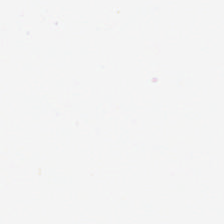Hematoxylin-and-eosin stained section — Content = no tissue.
